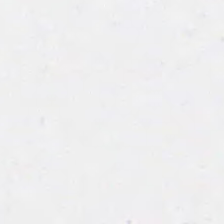0.5 microns per pixel; H&E-stained tissue section. No tissue present; background only.
